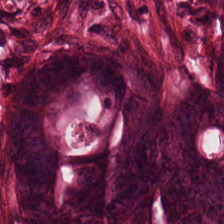H&E stain.
Classification: colorectal adenocarcinoma.
